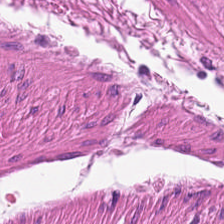0.5 µm per pixel; hematoxylin-and-eosin stained section.
Showing muscularis.
